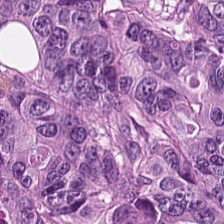Tissue class = malignant epithelium.
